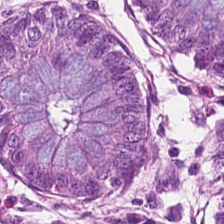224×224 pixel tile · brightfield · hematoxylin and eosin.
Q: What is shown in this field?
A: It is normal colon mucosa.
